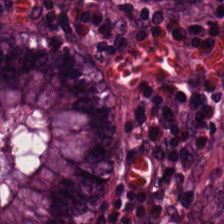Stain: H&E.
Classification: normal colonic mucosa.
